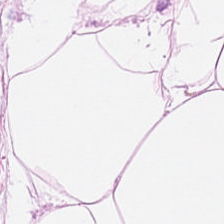H&E-stained tissue section. Q: What tissue type is shown here?
A: This is fat tissue.
